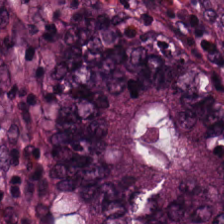Hematoxylin-and-eosin stained section. 20× equivalent magnification.
Adenocarcinoma.
